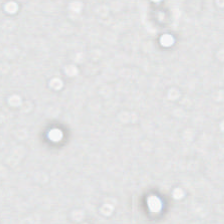Hematoxylin-and-eosin stained section — Background — no tissue in this field.
